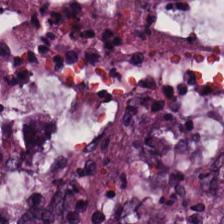0.5 microns per pixel · H&E · 224×224 px patch. Q: What type of tissue is this?
A: This is colorectal adenocarcinoma.
